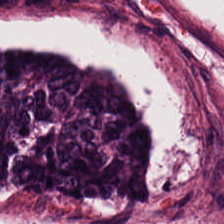H&E.
Tumor epithelium.
